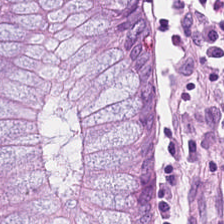0.5 µm per pixel; H&E stain; FFPE.
Classification — normal colon mucosa.
